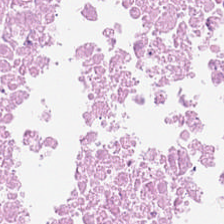Classification = debris.
